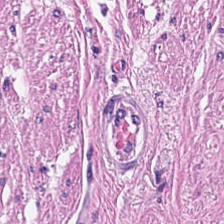FFPE. 224×224 px tile. H&E stain. Predominantly smooth muscle.
